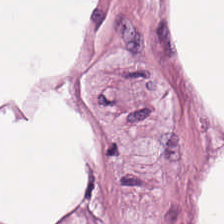H&E. The tissue type is adipose.
